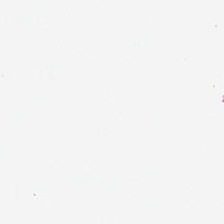H&E. Field content — background.
